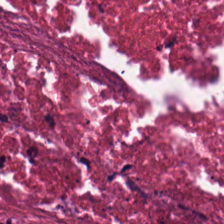Hematoxylin-and-eosin section: debris.
